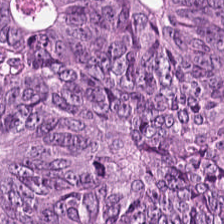Stain: hematoxylin-and-eosin stained section.
Tissue: colorectal adenocarcinoma.
